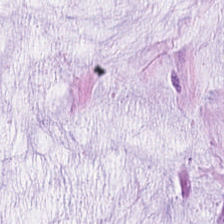Hematoxylin-and-eosin stained section; brightfield; 20× equivalent magnification.
The predominant tissue is mucin.
